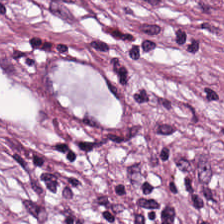H&E; 0.5 microns per pixel; WSI patch — Tissue: tumor stroma.
